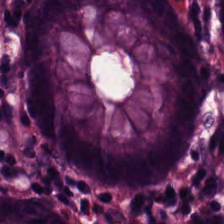H&E-stained tissue section — Q: What tissue is shown?
A: The field shows normal colonic mucosa.
